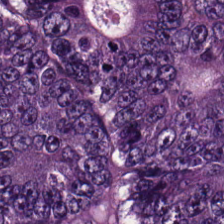The tissue type is tumor epithelium.
